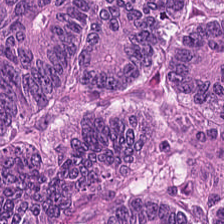The tissue here is adenocarcinoma.
